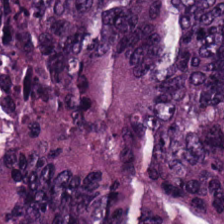Hematoxylin and eosin — Finding → adenocarcinoma.
